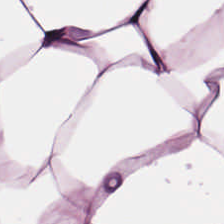H&E-stained tissue section. The tissue here is adipose.
